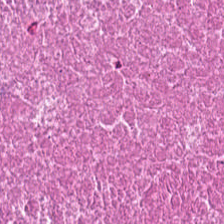0.5 microns per pixel. H&E. 224×224 px tile.
Necrotic debris.
